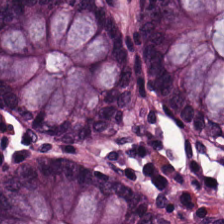H&E stain · 0.5 µm per pixel. Predominant tissue: non-neoplastic colon mucosa.
